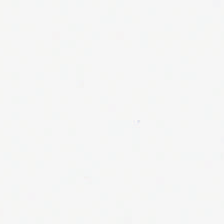224×224 px tile; hematoxylin and eosin — Empty background.
